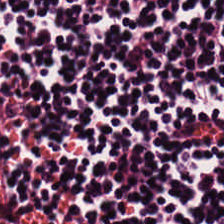FFPE tissue section. Hematoxylin-and-eosin stained section. {"tissue_type": "lymphocytes"}
